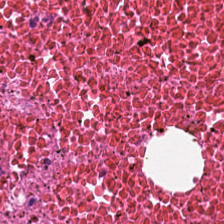The tissue type is cellular debris.
